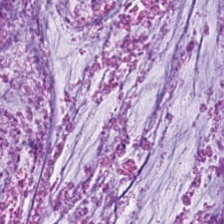Q: What is shown in this field?
A: This is mucin.
